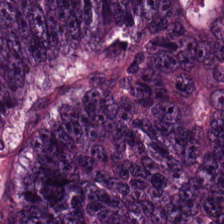Impression → malignant epithelium.
